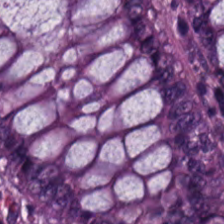Q: Identify the tissue.
A: The field shows benign colonic mucosa.
